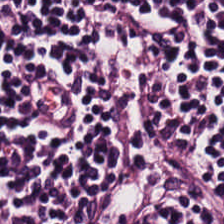Impression → lymphocytes.
